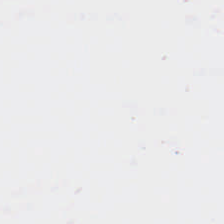H&E stain.
Field content: background.
